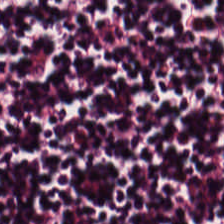Brightfield microscopy; 20× equivalent magnification; H&E — Impression — lymphocytes.
